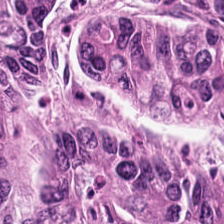H&E-stained tissue section — Finding — colorectal adenocarcinoma epithelium.
